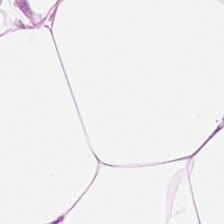Hematoxylin-and-eosin stained section; 224×224 px patch. Q: Identify the tissue.
A: The field shows adipose.
